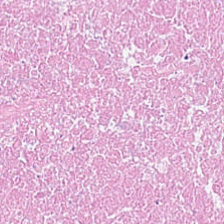Hematoxylin-and-eosin stained section.
Predominantly necrotic debris.
